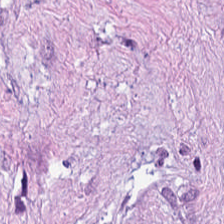Stain: H&E stain.
Classification: tumor-associated stroma.
